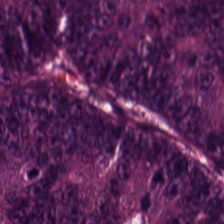H&E · FFPE tissue section — The tissue is colorectal adenocarcinoma.
